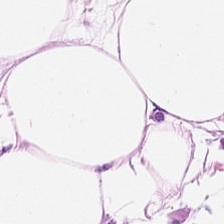Stain: H&E-stained tissue section.
Tissue type: adipocytes.
